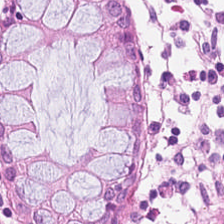H&E stain — Showing normal colonic mucosa.
